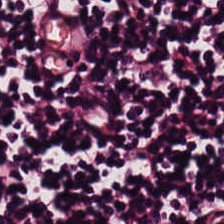Stain: hematoxylin-and-eosin stained section.
Tissue: lymphocytes.
